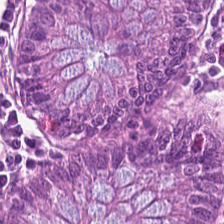Q: What does this patch show?
A: Non-neoplastic colon mucosa.
